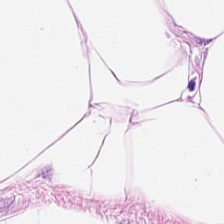0.5 microns per pixel. Formalin-fixed paraffin-embedded section. Hematoxylin and eosin.
{"tissue_type": "adipose"}
